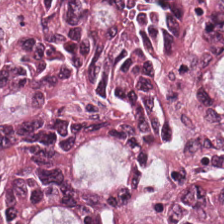The tissue class is colorectal adenocarcinoma.
